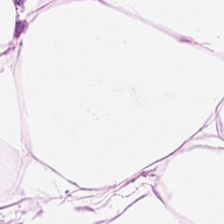Hematoxylin and eosin — The tissue here is adipose.
